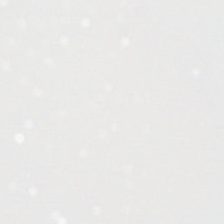H&E stain. No tissue present; background only.
